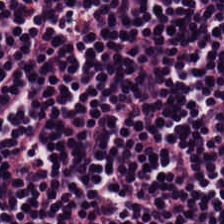Predominantly lymphocytic infiltrate.
